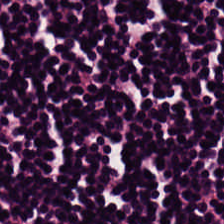Whole-slide-image patch. H&E — The predominant tissue is lymphocyte aggregate.
